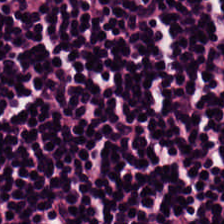H&E-stained tissue section. The tissue class is lymphocytic infiltrate.
